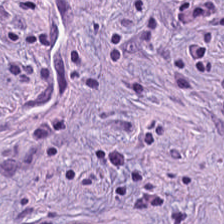H&E-stained tissue section. The classification is tumor stroma.
